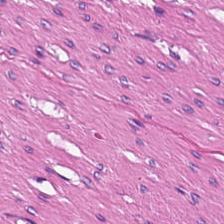Q: What is shown in this field?
A: This is muscularis.
